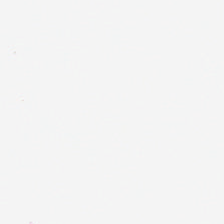{"content": "background"}
